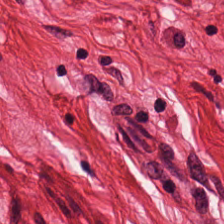Hematoxylin-and-eosin stained section — Finding → smooth-muscle tissue.
